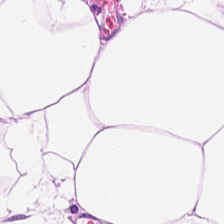Q: What does this patch show?
A: Adipocytes.
